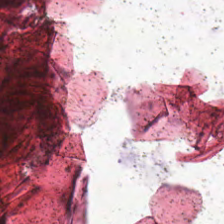Stain: H&E stain.
Acquisition: brightfield microscopy.
Field content: background.
